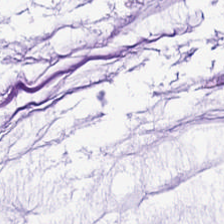H&E. Tissue type: mucus.
